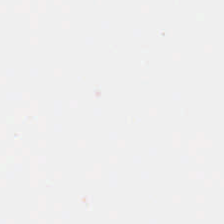224×224 pixel tile · 0.5 µm per pixel · H&E stain — No tissue present; background only.
